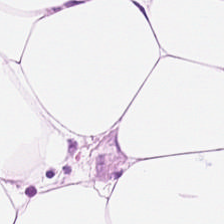Stain: hematoxylin and eosin.
Tissue class: fat tissue.
